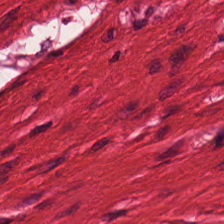FFPE tissue section; H&E; 224×224 pixel tile. Tissue type: muscularis.
